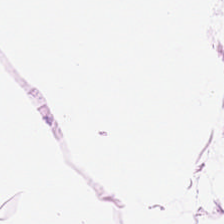0.5 µm per pixel · hematoxylin-and-eosin stained section — Adipose.
